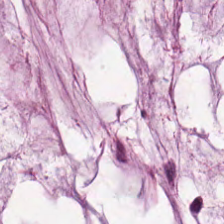H&E patch showing mucin.
